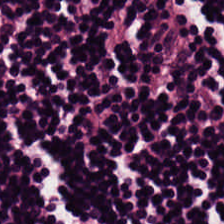Hematoxylin and eosin; 0.5 µm per pixel — Lymphoid infiltrate.
